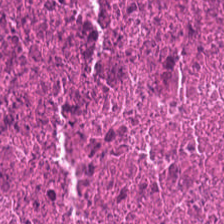H&E. Brightfield microscopy.
{"tissue_type": "cellular debris"}
